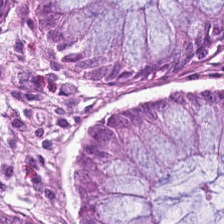{"tissue_type": "normal colon mucosa"}
